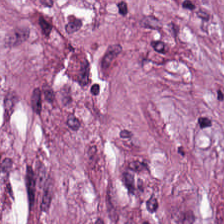Brightfield · FFPE · hematoxylin-and-eosin stained section. This field is tumor stroma.
